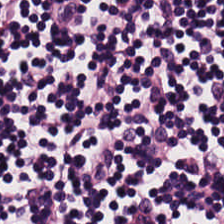0.5 µm/px. H&E — This field is lymphocytic infiltrate.
